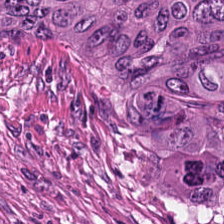H&E stain; 0.5 µm/px. Tissue type — malignant epithelium.
